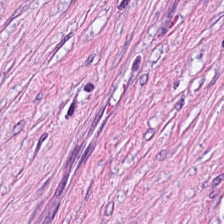Hematoxylin and eosin — Q: What tissue type is shown here?
A: It is desmoplastic stroma.
